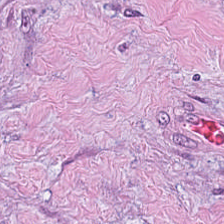Tissue: tumor-associated stroma.
